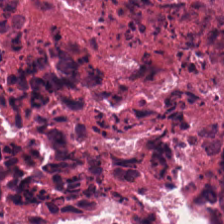Impression → necrotic debris.
